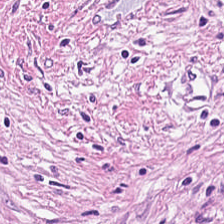Showing tumor-associated stroma.
